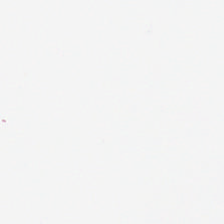H&E stain. Field content = empty background.
